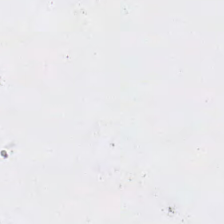Hematoxylin and eosin — Classification: background (no tissue).
